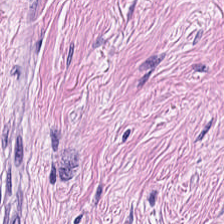Formalin-fixed paraffin-embedded section; H&E stain; whole-slide-image patch — The tissue here is tumor-associated stroma.
